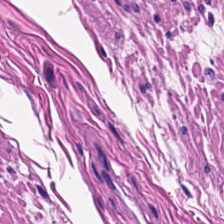FFPE · H&E stain · WSI patch — This patch shows smooth-muscle tissue.
